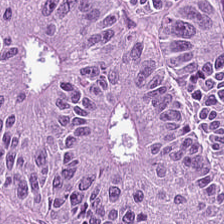FFPE tissue section · H&E-stained tissue section.
Finding → adenocarcinoma.
